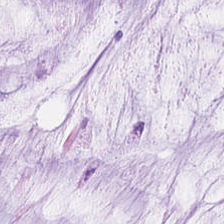Hematoxylin and eosin. Q: Classify this patch.
A: The field shows mucin.
